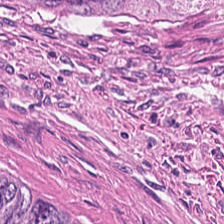H&E stain.
The tissue class is debris.
